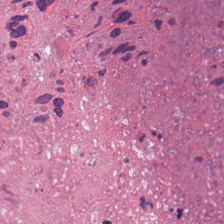Stain: H&E-stained tissue section.
Tissue type: cellular debris.
